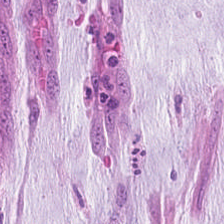Stain: H&E.
Tissue: mucin.
